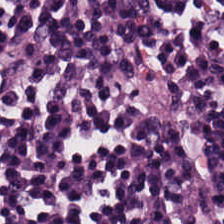Tissue type — lymphoid infiltrate.
